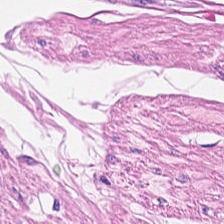{"tissue_type": "muscularis"}
